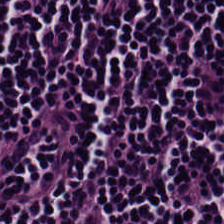H&E-stained tissue section.
Classification: lymphocyte aggregate.
